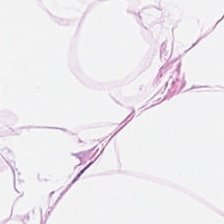H&E; brightfield; 224×224 px patch.
Tissue class — adipocytes.
